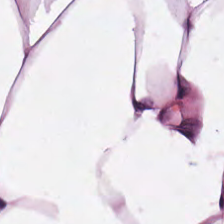H&E-stained section; the field shows fat tissue.
